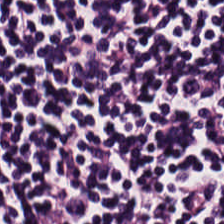Brightfield; H&E. Q: What tissue is shown?
A: Lymphocytic infiltrate.
